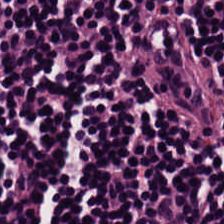H&E.
Q: What is shown here?
A: It is lymphoid infiltrate.
